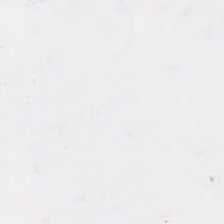0.5 microns per pixel. Hematoxylin-and-eosin stained section.
This patch shows empty background.
